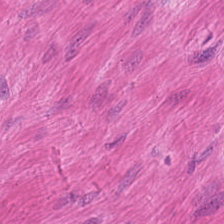FFPE · H&E-stained tissue section · 0.5 µm per pixel.
Histology → smooth muscle.
